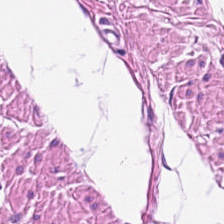Hematoxylin and eosin. Q: What type of tissue is this?
A: This is smooth-muscle tissue.
